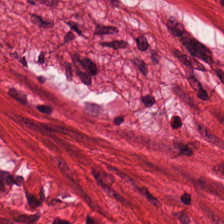Stain: H&E-stained tissue section.
Acquisition: WSI patch.
Resolution: 20× equivalent magnification.
Predominant tissue: muscularis.
